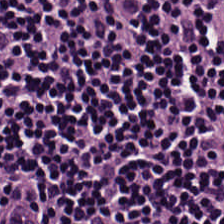Lymphocytic infiltrate.
